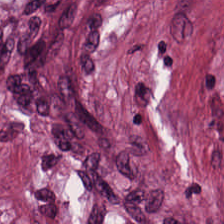The tissue is tumor stroma.
